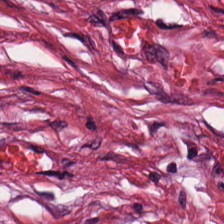H&E — Q: Identify the tissue.
A: The field shows desmoplastic stroma.
